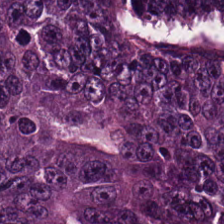This patch shows tumor epithelium.
